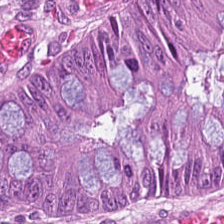Stain: hematoxylin and eosin.
Preparation: FFPE tissue section.
Tissue type: malignant epithelium.
